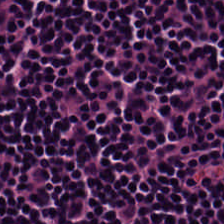Brightfield microscopy; hematoxylin and eosin. The tissue type is lymphocytic infiltrate.
